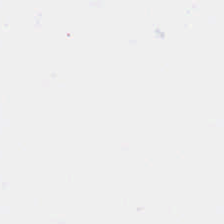Content = empty background.
